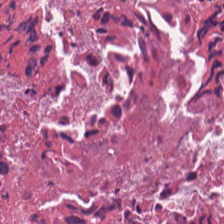Hematoxylin-and-eosin stained section · whole-slide-image patch. Predominant tissue — necrotic debris.
